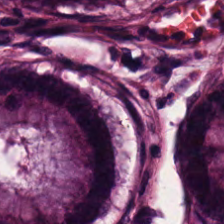Hematoxylin-and-eosin stained section — The tissue is benign colonic mucosa.
